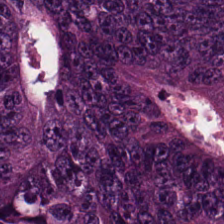H&E patch showing malignant epithelium.
